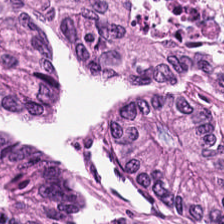224×224 px tile · H&E-stained tissue section. Histology — adenocarcinoma.
